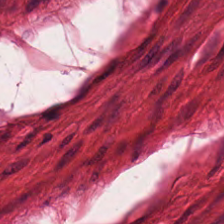20× equivalent magnification; 224×224 pixel tile; H&E — This field is muscularis.
